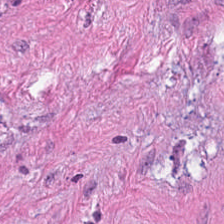Stain: hematoxylin-and-eosin stained section.
Tissue class: cancer-associated stroma.
